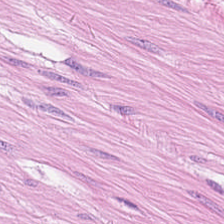224×224 px tile. WSI patch. Hematoxylin-and-eosin stained section — The tissue class is smooth muscle.
